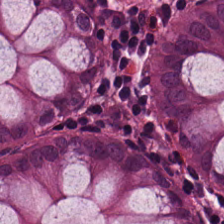224×224 px tile. Hematoxylin-and-eosin stained section. Showing benign colonic mucosa.
